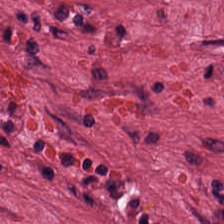Hematoxylin and eosin.
Showing tumor-associated stroma.
